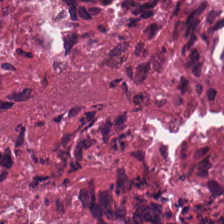H&E-stained tissue section showing debris.
